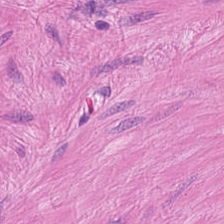Stain: H&E-stained tissue section.
Acquisition: whole-slide-image patch.
Resolution: 0.5 µm/px.
Predominant tissue: smooth muscle.
